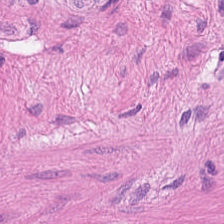H&E-stained tissue section — Muscularis.
